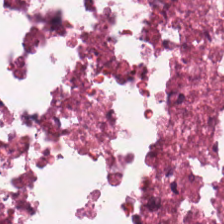FFPE tissue section. H&E-stained tissue section. Predominantly cellular debris.
